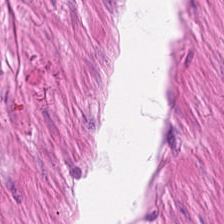H&E stain. Tissue — smooth muscle.
